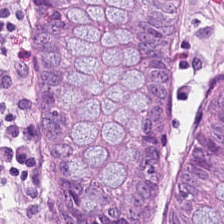H&E-stained tissue section. Histology — normal colon mucosa.
